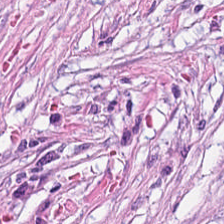H&E — cancer-associated stroma.
